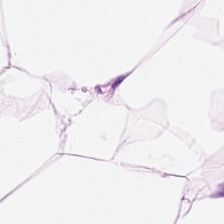Q: Classify this patch.
A: This is adipose.
